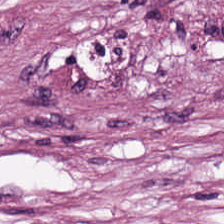0.5 µm/px. Brightfield microscopy. Hematoxylin and eosin.
This patch shows tumor stroma.
